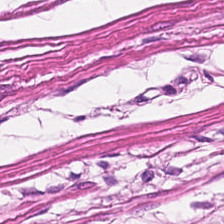Stain: H&E-stained tissue section.
Preparation: FFPE tissue section.
Predominant tissue: muscularis.
